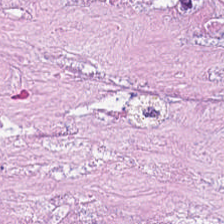H&E-stained section; the field shows necrotic debris.
